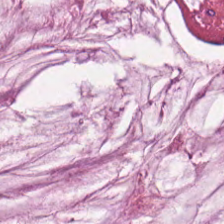0.5 µm per pixel · H&E stain. Tissue class: mucin.
